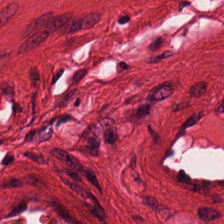{"tissue_type": "smooth muscle"}
